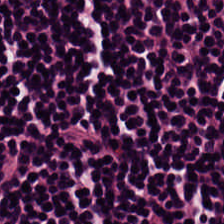FFPE; H&E-stained tissue section; 224×224 px tile. Showing lymphoid infiltrate.
